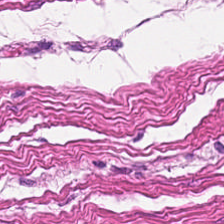H&E.
Q: Identify the tissue.
A: The field shows smooth-muscle tissue.
